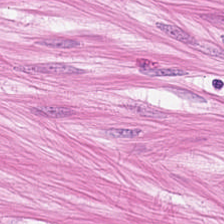H&E stain. Tissue — smooth muscle.
